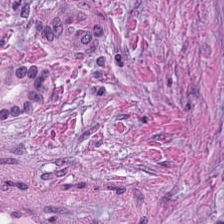H&E-stained tissue section · whole-slide-image patch. Q: Identify the tissue.
A: This is cancer-associated stroma.
